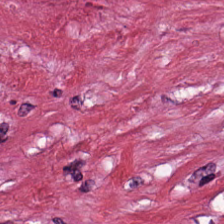H&E.
Tumor-associated stroma.
